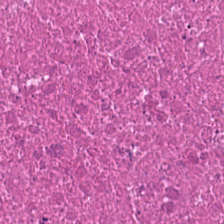Q: Identify the tissue.
A: The field shows cellular debris.
